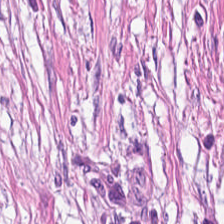Hematoxylin-and-eosin stained section — The predominant tissue is desmoplastic stroma.
